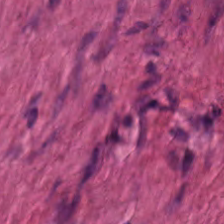Hematoxylin and eosin · FFPE · whole-slide-image patch. This field is smooth-muscle tissue.
